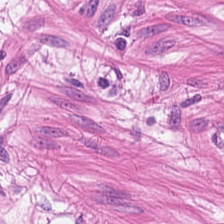Q: What is the predominant tissue type?
A: This is smooth-muscle tissue.
